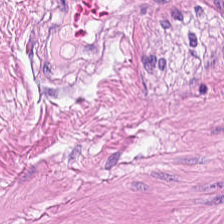Hematoxylin and eosin. Formalin-fixed paraffin-embedded section. 224×224 px tile — Predominant tissue = smooth-muscle tissue.
